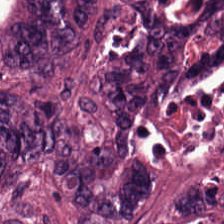{"tissue_type": "adenocarcinoma"}
